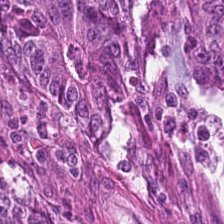Malignant epithelium.
